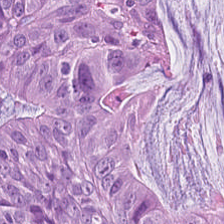Classification: tumor epithelium.
